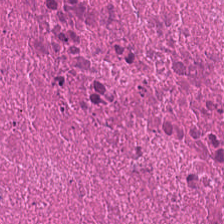20× equivalent magnification · hematoxylin-and-eosin stained section. Impression → debris.
